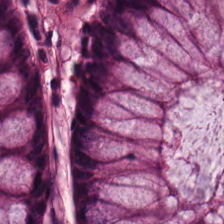224×224 px tile. H&E stain — This field is benign colonic mucosa.
